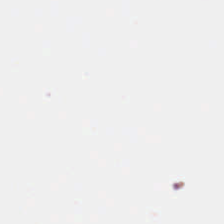Whole-slide-image patch · 0.5 µm/px · hematoxylin-and-eosin stained section.
Empty background.
